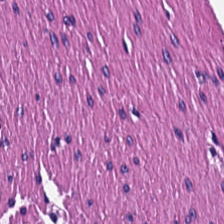224×224 pixel tile; WSI patch; hematoxylin-and-eosin stained section — Histology → smooth muscle.
